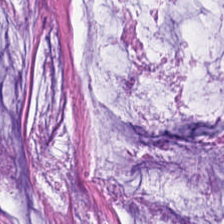224×224 pixel tile; hematoxylin and eosin. Finding → mucin.
